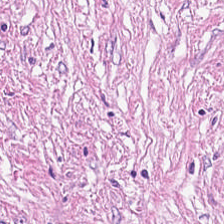H&E; brightfield — Tissue = tumor-associated stroma.
